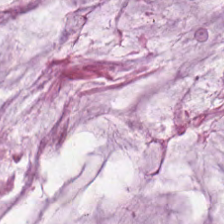H&E-stained tissue section. {"tissue_type": "mucus"}
